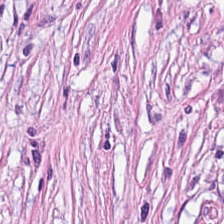H&E — tumor-associated stroma.
